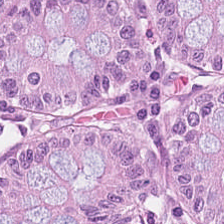Hematoxylin-and-eosin stained section. Predominantly non-neoplastic colon mucosa.
